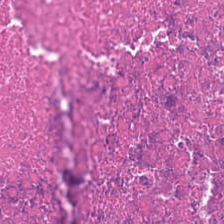H&E stain.
Classification — cellular debris.
